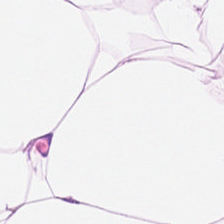Hematoxylin-and-eosin stained section.
Q: What type of tissue is this?
A: It is adipose tissue.
